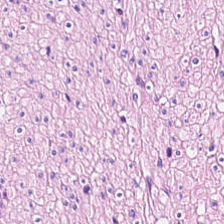Hematoxylin-and-eosin stained section — {"tissue_type": "smooth-muscle tissue"}
